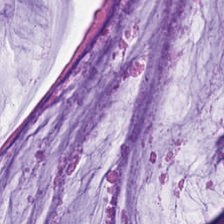Hematoxylin and eosin.
Q: What tissue is shown?
A: This is mucin.
